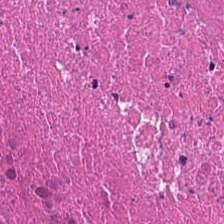Brightfield; 224×224 px patch; hematoxylin and eosin.
Q: What type of tissue is this?
A: The field shows debris.
